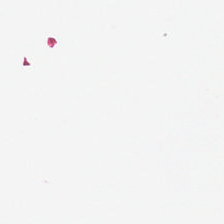Q: What is shown here?
A: No tissue.
